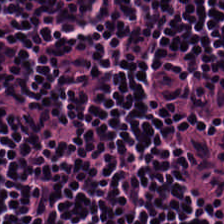Hematoxylin and eosin.
The predominant tissue is lymphocyte aggregate.
